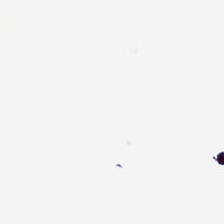Formalin-fixed paraffin-embedded section. 224×224 pixel tile. H&E — Impression — background.
